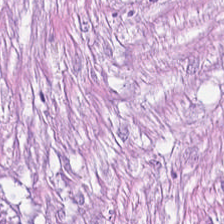This field is desmoplastic stroma.
